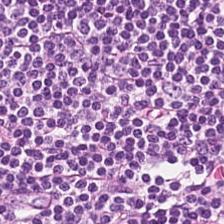H&E-stained tissue section; 0.5 microns per pixel. Finding → lymphocytic infiltrate.
